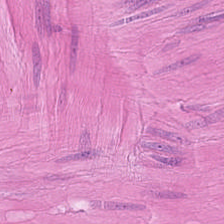H&E-stained tissue section — Q: Classify this patch.
A: Smooth-muscle tissue.
